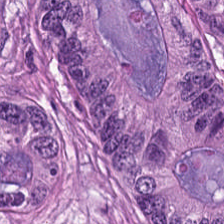Histology — colorectal adenocarcinoma.
